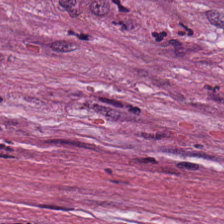Hematoxylin-and-eosin stained section.
The tissue class is tumor stroma.
